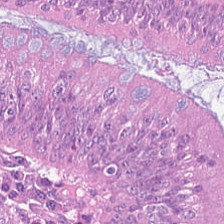Stain: hematoxylin and eosin.
Resolution: 20× equivalent magnification.
Tissue: tumor epithelium.
